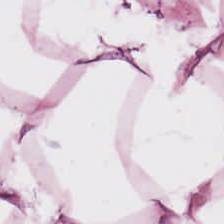H&E-stained tissue section.
Q: What does this patch show?
A: Adipose tissue.
